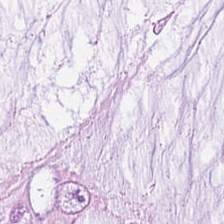H&E. 224×224 pixel tile. The predominant tissue is mucin.
